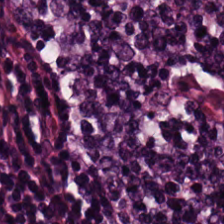Hematoxylin and eosin. The predominant tissue is lymphocyte aggregate.
